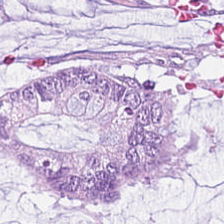H&E · 0.5 µm per pixel.
Mucin.
